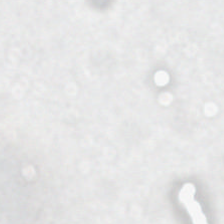Stain: H&E stain.
Acquisition: whole-slide-image patch.
Resolution: 0.5 µm/px.
Content: background.
